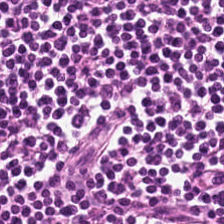Hematoxylin-and-eosin stained section · FFPE — Tissue class — lymphocyte aggregate.
